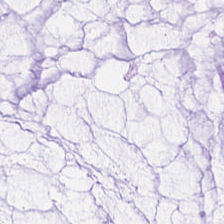H&E · brightfield · formalin-fixed paraffin-embedded section. The predominant tissue is extracellular mucin.
